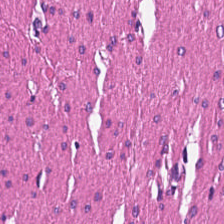H&E-stained tissue section. WSI patch. Q: What is the predominant tissue type?
A: The field shows muscularis.
